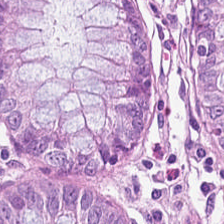H&E-stained tissue section. 0.5 µm per pixel — This patch shows normal colon mucosa.
